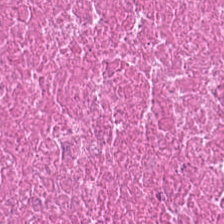Q: What does this patch show?
A: The field shows necrotic debris.
